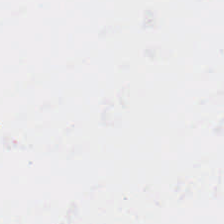Hematoxylin-and-eosin stained section · 224×224 pixel tile. Histology → background.
